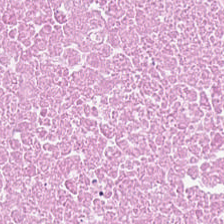H&E-stained tissue section.
Necrotic debris.
